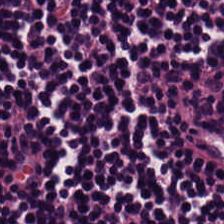This field is lymphocytes.
